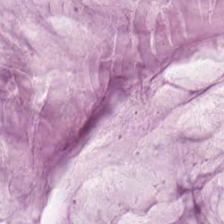Mucin.
